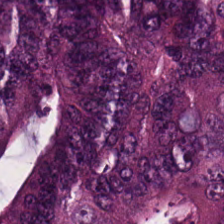Stain: hematoxylin-and-eosin stained section.
Resolution: 0.5 microns per pixel.
Classification: colorectal adenocarcinoma epithelium.
